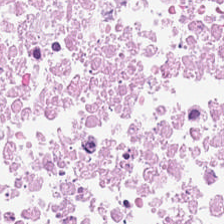The tissue here is necrotic debris.
